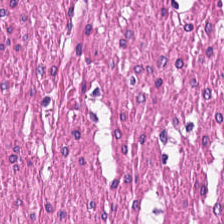Hematoxylin-and-eosin stained section · 224×224 px tile — Showing muscularis.
